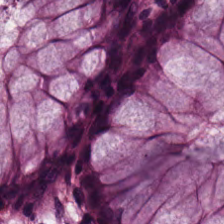H&E-stained tissue section — The predominant tissue is normal colon mucosa.
